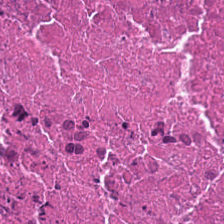Stain: H&E stain.
Resolution: 0.5 µm per pixel.
Tile size: 224×224 px tile.
Classification: debris.
